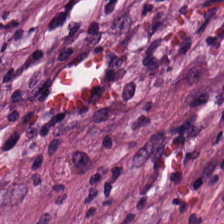Stain: H&E stain.
Tissue class: desmoplastic stroma.
